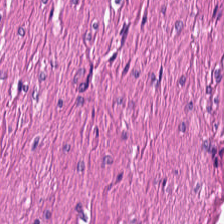WSI patch. H&E-stained tissue section.
The tissue type is smooth-muscle tissue.
